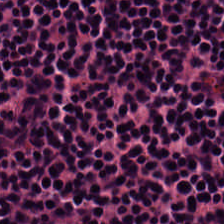Stain: hematoxylin and eosin.
Resolution: 0.5 µm per pixel.
Preparation: formalin-fixed paraffin-embedded section.
Tissue type: lymphocytes.
